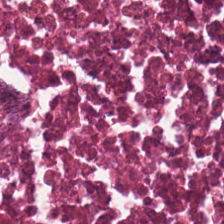Q: What tissue type is shown here?
A: The field shows necrotic debris.
